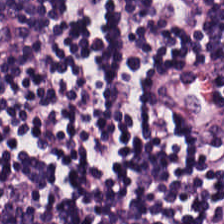0.5 microns per pixel; H&E stain. Lymphoid infiltrate.
